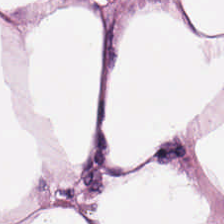H&E stain. This field is fat tissue.
